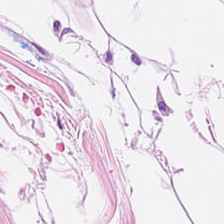Stain: H&E.
Tile size: 224×224 pixel tile.
Tissue: adipose tissue.
